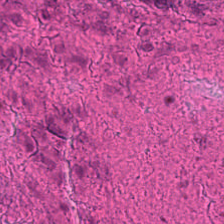H&E stain — Necrotic debris.
